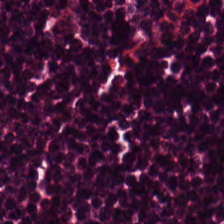Stain: H&E-stained tissue section.
Resolution: 0.5 µm/px.
Tile size: 224×224 px patch.
Classification: lymphocytes.
